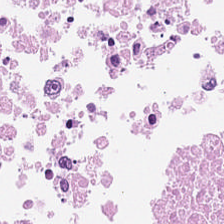224×224 px patch. 0.5 µm/px. Hematoxylin-and-eosin stained section. The predominant tissue is cellular debris.
